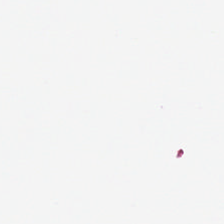Whole-slide-image patch. H&E — This field is background (no tissue).
